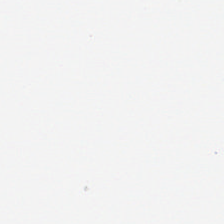Stain: hematoxylin and eosin.
Field content: background (no tissue).
